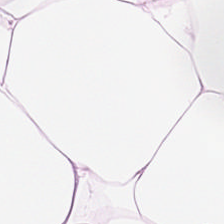224×224 pixel tile · H&E-stained tissue section — Histology → adipose tissue.
